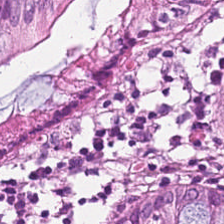WSI patch. 0.5 µm per pixel. H&E. Q: Classify this patch.
A: The field shows non-neoplastic colon mucosa.
